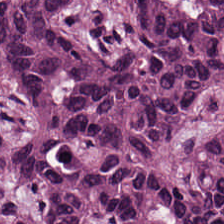H&E-stained tissue section — This field is colorectal adenocarcinoma.
